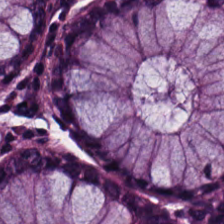H&E-stained tissue section. Brightfield. Formalin-fixed paraffin-embedded section — Tissue type — normal colon mucosa.
